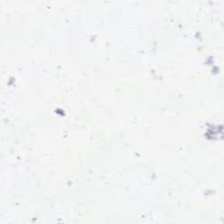Hematoxylin-and-eosin stained section.
Impression → empty background.
